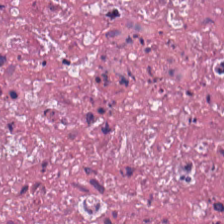Histology → debris.
